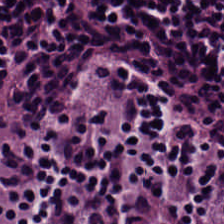Classification = lymphocytes.
